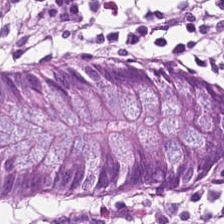Q: Classify this patch.
A: This is non-neoplastic colon mucosa.
